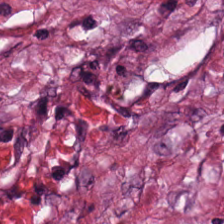H&E.
Q: Identify the tissue.
A: This is cancer-associated stroma.
